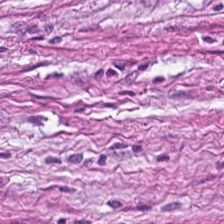Hematoxylin-and-eosin stained section; whole-slide-image patch; 224×224 pixel tile — Predominantly desmoplastic stroma.
